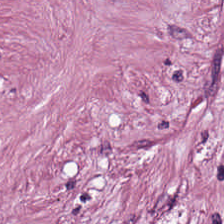224×224 px patch; H&E-stained tissue section — This patch shows cancer-associated stroma.
